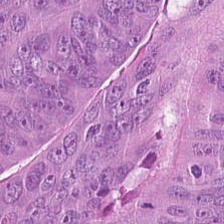H&E.
Tissue = malignant epithelium.
